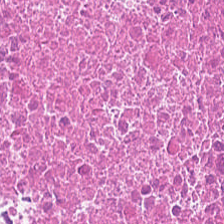Hematoxylin-and-eosin stained section.
Tissue type — cellular debris.
